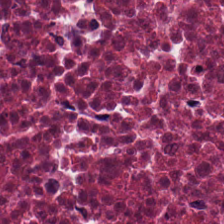H&E — debris.
